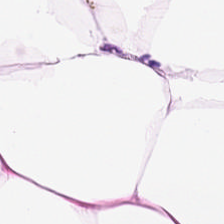H&E patch showing fat tissue.
